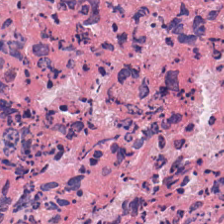H&E-stained tissue section. Histology — cellular debris.
